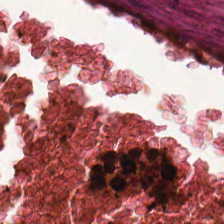{"tissue_type": "necrotic debris"}
